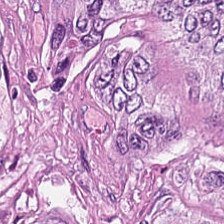Histology → colorectal adenocarcinoma.
